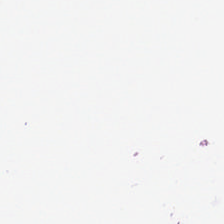Hematoxylin-and-eosin stained section. Empty field — no tissue.
